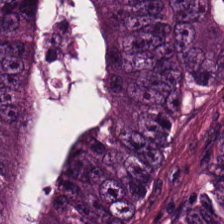20× equivalent magnification. Brightfield. Hematoxylin-and-eosin stained section. Tissue type: adenocarcinoma.
